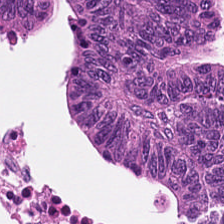WSI patch. Hematoxylin and eosin.
The predominant tissue is adenocarcinoma.
